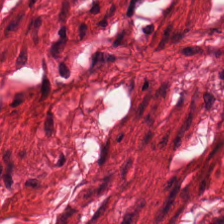Stain: H&E stain.
Predominant tissue: muscularis.
